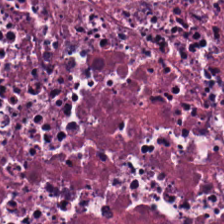Hematoxylin-and-eosin stained section.
{"tissue_type": "necrotic debris"}
